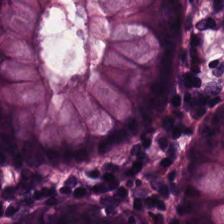Tissue class = non-neoplastic colon mucosa.
